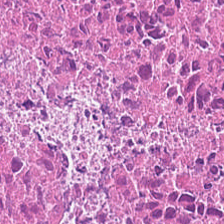Stain: hematoxylin-and-eosin stained section.
Predominant tissue: necrotic debris.
